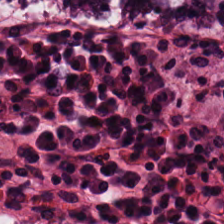H&E-stained tissue section.
Benign colonic mucosa.
